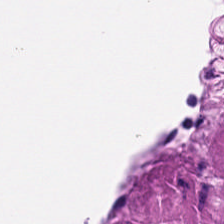Predominant tissue = smooth muscle.
